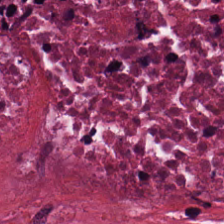224×224 px patch · formalin-fixed paraffin-embedded section · hematoxylin-and-eosin stained section.
This field is necrotic debris.
